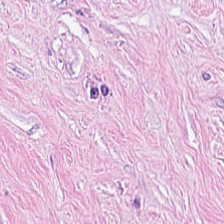H&E stain; whole-slide-image patch.
Tissue class = tumor stroma.
